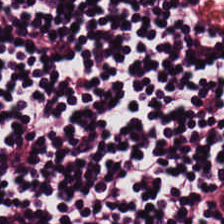H&E — Classification: lymphocytes.
